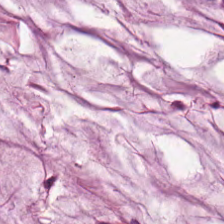H&E patch showing extracellular mucin.
